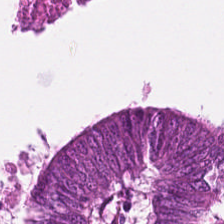WSI patch. H&E.
Tissue type — colorectal adenocarcinoma epithelium.
